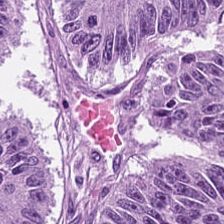Hematoxylin and eosin · brightfield microscopy — This field is colorectal adenocarcinoma epithelium.
